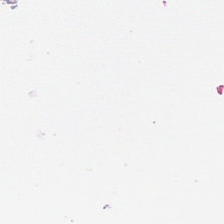Hematoxylin and eosin; 0.5 µm per pixel. This field is background (no tissue).
